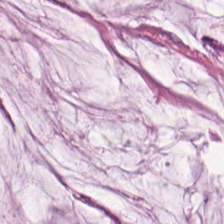224×224 px tile · H&E stain · 20× equivalent magnification — Predominantly mucin.
